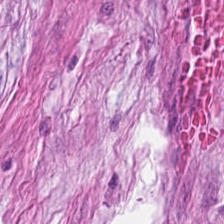H&E. FFPE tissue section. Q: What tissue type is shown here?
A: It is tumor stroma.
